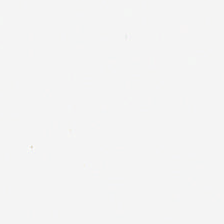Hematoxylin and eosin. No tissue present; background only.
